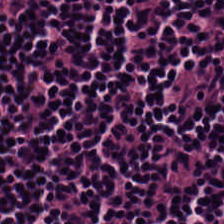H&E. 224×224 pixel tile. Predominant tissue = lymphocytes.
